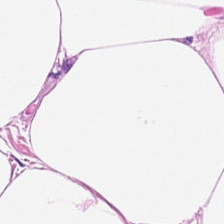H&E stain. The predominant tissue is fat tissue.
